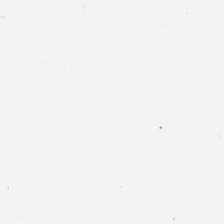0.5 µm per pixel; 224×224 px tile; H&E.
This field is background (no tissue).
